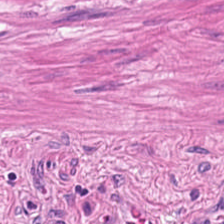H&E patch showing smooth muscle.
